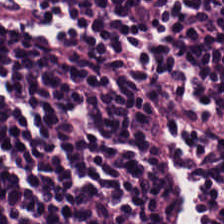H&E.
The predominant tissue is lymphocytes.
